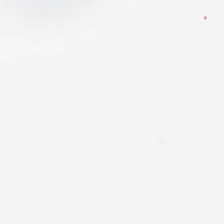Hematoxylin-and-eosin stained section · 0.5 µm/px · whole-slide-image patch. Empty field — background (no tissue).
